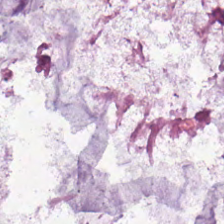Impression → mucin.
